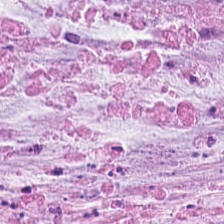H&E-stained tissue section · 0.5 microns per pixel · FFPE tissue section. Tissue class — mucin.
